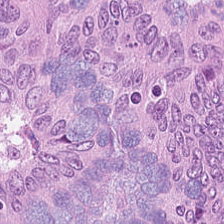H&E-stained tissue section — Q: What does this patch show?
A: It is adenocarcinoma.
